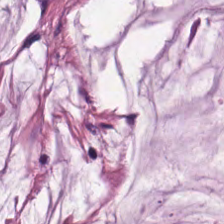Formalin-fixed paraffin-embedded section · H&E — Mucus.
